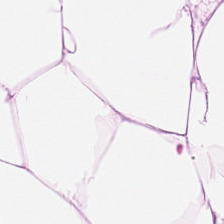Hematoxylin and eosin — This field is fat tissue.
